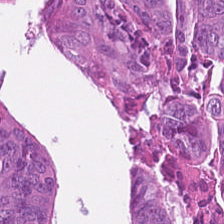224×224 px patch. H&E. 0.5 µm/px. Malignant epithelium.
